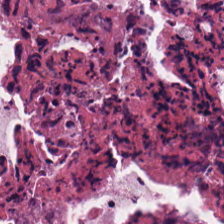Hematoxylin-and-eosin stained section; 224×224 px patch; FFPE tissue section. Classification = necrotic debris.
